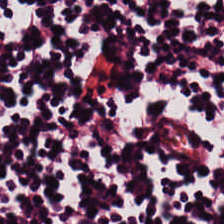The tissue type is lymphocyte aggregate.
